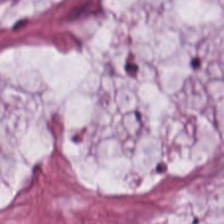Stain: H&E stain.
Resolution: 0.5 µm per pixel.
Classification: mucus.
